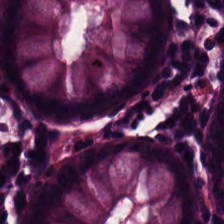Hematoxylin-and-eosin stained section. Impression → normal colonic mucosa.
